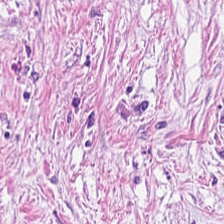Stain: H&E stain.
Preparation: FFPE tissue section.
Tissue type: cancer-associated stroma.
